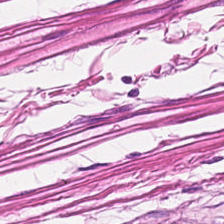Hematoxylin and eosin. Predominant tissue = smooth-muscle tissue.
